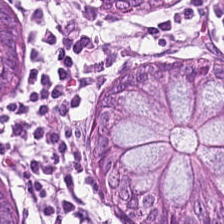Stain: H&E.
Preparation: FFPE.
Tissue class: non-neoplastic colon mucosa.
